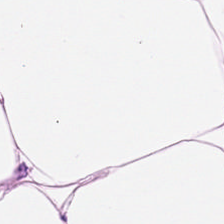Formalin-fixed paraffin-embedded section · H&E-stained tissue section. Impression → fat tissue.
